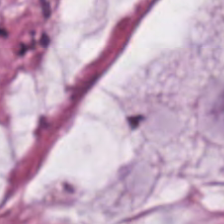H&E · 224×224 px tile.
This field is mucus.
